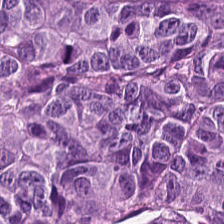Hematoxylin-and-eosin section: colorectal adenocarcinoma epithelium.
